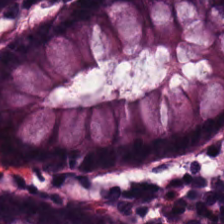H&E-stained tissue section — This field is non-neoplastic colon mucosa.
